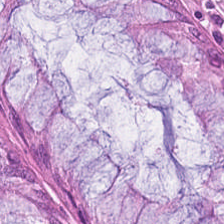Stain: H&E stain.
Tissue type: non-neoplastic colon mucosa.
